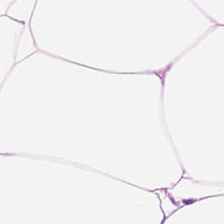H&E stain; 224×224 px patch.
This field is adipose tissue.
